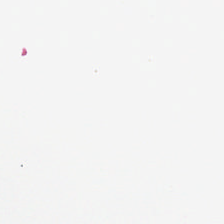Hematoxylin-and-eosin stained section. This patch shows background.
